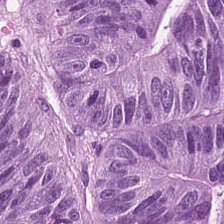Hematoxylin-and-eosin stained section.
{"tissue_type": "adenocarcinoma"}
